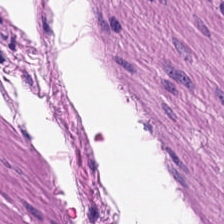H&E-stained tissue section.
The tissue type is smooth-muscle tissue.
